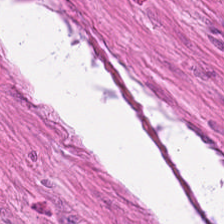Hematoxylin and eosin.
Impression — smooth-muscle tissue.
